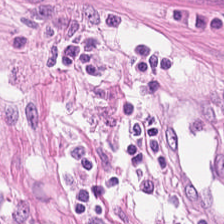Hematoxylin-and-eosin stained section. FFPE — Q: What type of tissue is this?
A: Smooth-muscle tissue.
